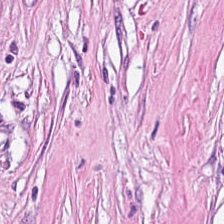0.5 µm/px · H&E stain · FFPE. Showing tumor stroma.
